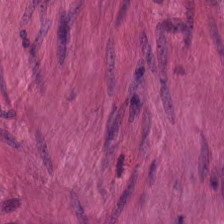H&E. 224×224 px tile — {"tissue_type": "smooth-muscle tissue"}
